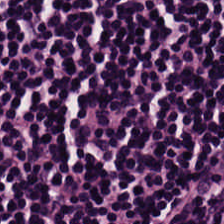The predominant tissue is lymphocytes.
